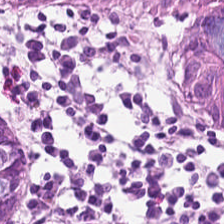Showing normal colon mucosa.
